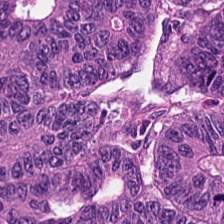Stain: H&E.
Tissue type: adenocarcinoma.
